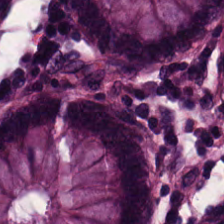Formalin-fixed paraffin-embedded section. H&E stain. Brightfield.
The predominant tissue is non-neoplastic colon mucosa.
